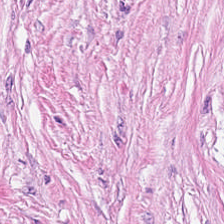Cancer-associated stroma.
